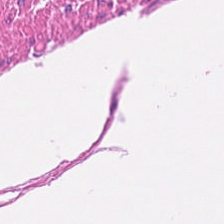FFPE. H&E-stained tissue section. The classification is smooth muscle.
